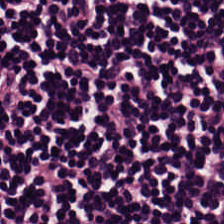Stain: H&E.
Classification: lymphocytic infiltrate.
